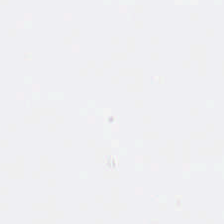Classification — no tissue.
